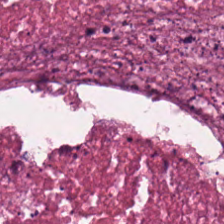224×224 px tile. 0.5 µm per pixel. H&E stain — Tissue type — debris.
